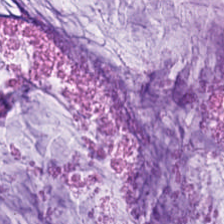H&E-stained tissue section. Whole-slide-image patch — The tissue here is extracellular mucin.
